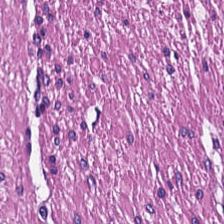Hematoxylin-and-eosin stained section. The classification is smooth-muscle tissue.
